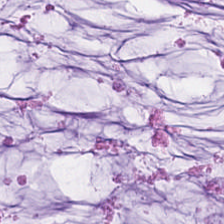H&E.
The tissue here is mucus.
